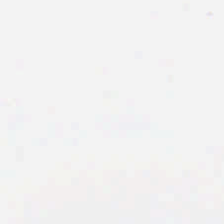Hematoxylin-and-eosin stained section · 224×224 pixel tile — Finding — background (no tissue).
